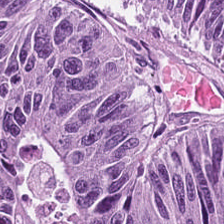Tissue type = colorectal adenocarcinoma.
